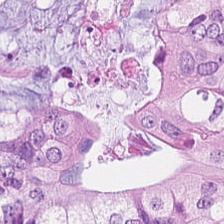Q: What is shown in this field?
A: This is tumor epithelium.
